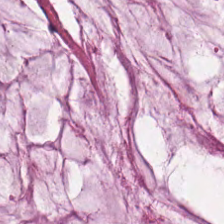224×224 px patch · FFPE tissue section · H&E.
Mucus.
